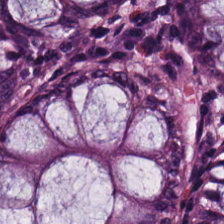FFPE tissue section. H&E-stained tissue section — The tissue is benign colonic mucosa.
